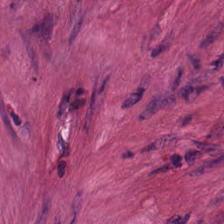Formalin-fixed paraffin-embedded section; 224×224 px tile; hematoxylin and eosin.
Q: What tissue type is shown here?
A: It is muscularis.
